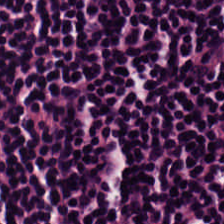Histology — lymphoid infiltrate.
